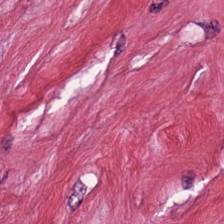H&E.
Q: Identify the tissue.
A: Tumor stroma.
